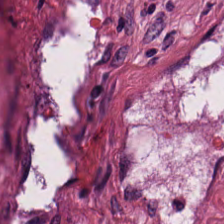Stain: hematoxylin and eosin.
Preparation: formalin-fixed paraffin-embedded section.
Tissue type: cancer-associated stroma.
